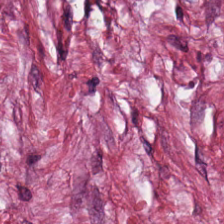H&E stain — Predominant tissue — tumor stroma.
